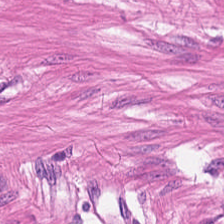H&E-stained tissue section · formalin-fixed paraffin-embedded section. Tissue type = smooth muscle.
